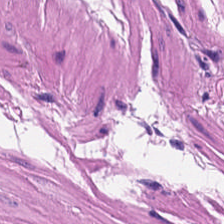H&E.
The tissue type is smooth-muscle tissue.
